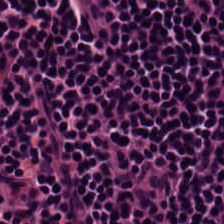224×224 pixel tile; H&E.
{"tissue_type": "lymphocytes"}
